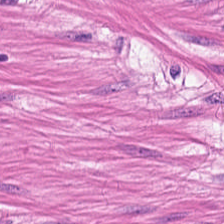224×224 px tile; hematoxylin and eosin.
Q: What is the predominant tissue type?
A: The field shows muscularis.
